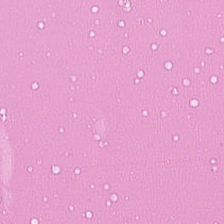Q: What type of tissue is this?
A: The field shows debris.
